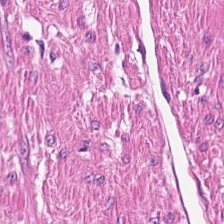H&E patch showing muscularis.
